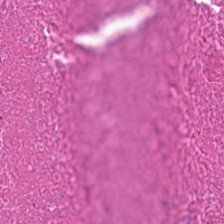Tissue — debris.
